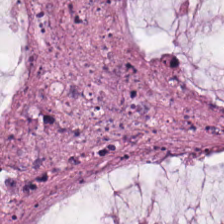Hematoxylin and eosin.
The predominant tissue is extracellular mucin.
